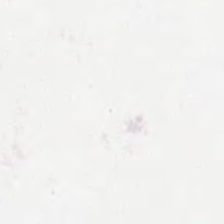Stain: hematoxylin-and-eosin stained section.
Classification: background.
